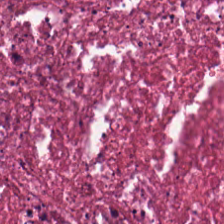H&E stain. This patch shows necrotic debris.
